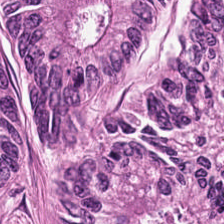Hematoxylin-and-eosin stained section — Tumor epithelium.
